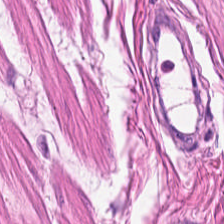Whole-slide-image patch; H&E stain — Q: What tissue type is shown here?
A: It is smooth-muscle tissue.
